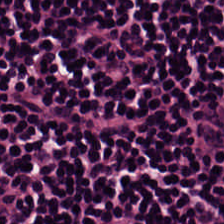Brightfield. H&E stain. FFPE. Finding → lymphoid infiltrate.
